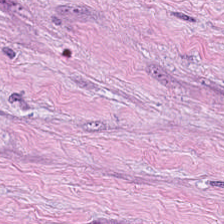Brightfield · H&E — This patch shows tumor stroma.
